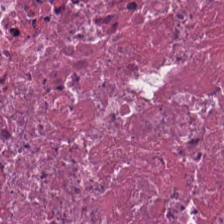0.5 µm per pixel · H&E · whole-slide-image patch — Tissue class = cellular debris.
